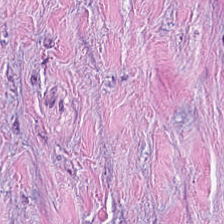H&E stain.
The predominant tissue is desmoplastic stroma.
